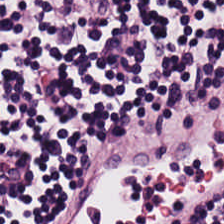20× equivalent magnification. H&E. Histology → lymphocytes.
